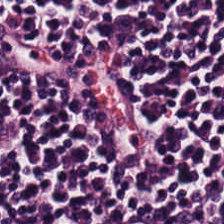Hematoxylin-and-eosin stained section · FFPE.
Tissue type: lymphocytes.
